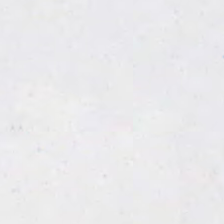Hematoxylin and eosin. 20× equivalent magnification. Brightfield microscopy.
The field content is empty background.
